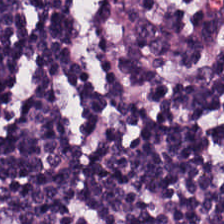H&E-stained tissue section · 224×224 px tile. Tissue = lymphocytes.
